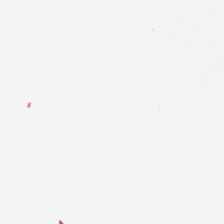224×224 px patch. H&E. Histology — empty background.
